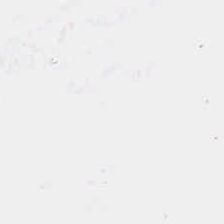Hematoxylin and eosin · FFPE tissue section. Impression → background.
